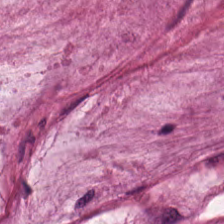0.5 µm per pixel · H&E · WSI patch. The tissue type is mucin.
